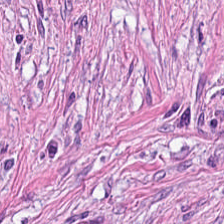Brightfield microscopy. H&E-stained tissue section. 0.5 µm per pixel — Histology → cancer-associated stroma.
